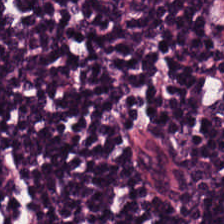Hematoxylin and eosin. Q: What does this patch show?
A: It is lymphocytes.
